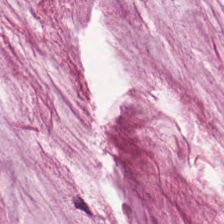Hematoxylin-and-eosin stained section · WSI patch.
This patch shows mucin.
